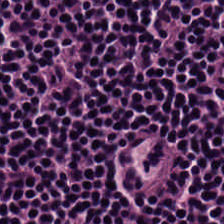Q: Identify the tissue.
A: It is lymphocyte aggregate.
